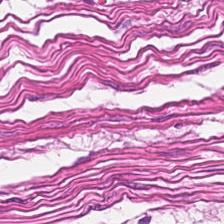Hematoxylin-and-eosin stained section — {"tissue_type": "smooth muscle"}
